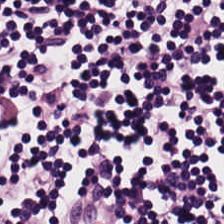Classification: lymphocytic infiltrate.
